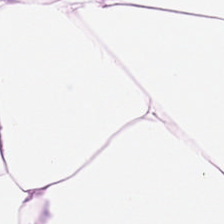Hematoxylin-and-eosin stained section — The predominant tissue is adipocytes.
